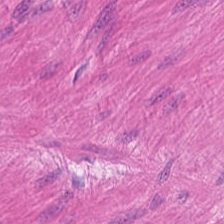H&E-stained tissue section — Tissue: smooth muscle.
